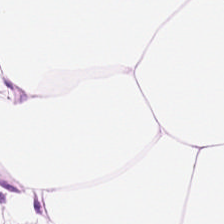H&E stain — Q: What is shown in this field?
A: The field shows fat tissue.
